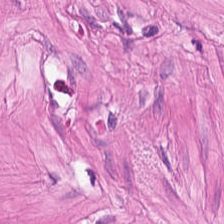H&E stain. Classification — muscularis.
